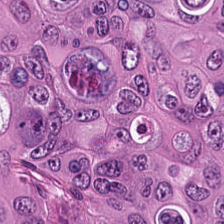Stain: hematoxylin-and-eosin stained section.
Tile size: 224×224 pixel tile.
Resolution: 0.5 microns per pixel.
Predominant tissue: colorectal adenocarcinoma epithelium.
